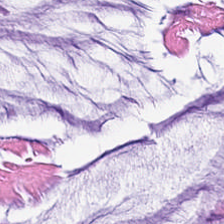Formalin-fixed paraffin-embedded section · H&E stain. Q: What tissue type is shown here?
A: This is mucus.
